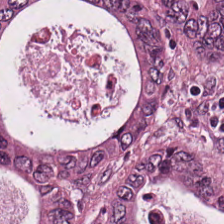Tumor epithelium.
